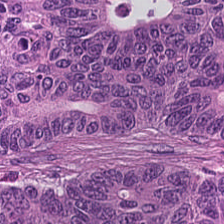Q: What is shown in this field?
A: Tumor epithelium.
